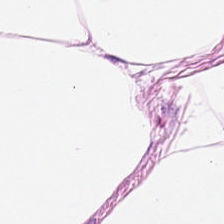H&E-stained tissue section.
Impression → adipocytes.
